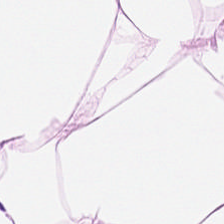H&E; 224×224 px tile. Finding → fat tissue.
